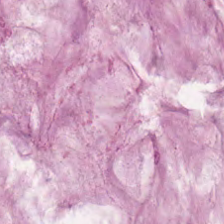Q: Classify this patch.
A: It is mucus.
